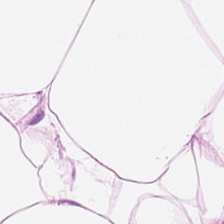0.5 µm/px · H&E-stained tissue section.
Q: Identify the tissue.
A: It is adipose.
